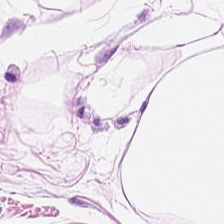H&E-stained tissue section — The tissue is fat tissue.
